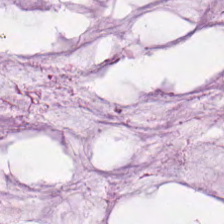H&E stain. Classification: mucus.
